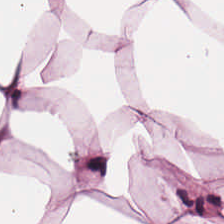0.5 µm per pixel · hematoxylin-and-eosin stained section.
Tissue type = adipose tissue.
